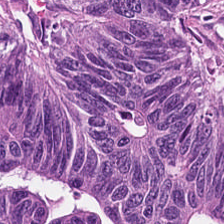Hematoxylin and eosin — Q: Classify this patch.
A: The field shows tumor epithelium.
